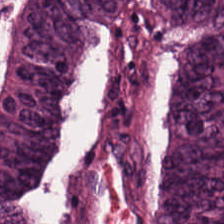224×224 pixel tile · H&E · formalin-fixed paraffin-embedded section — {"tissue_type": "tumor epithelium"}
